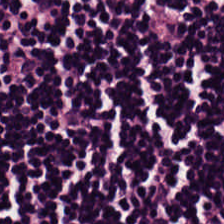FFPE tissue section. Hematoxylin-and-eosin stained section. 224×224 px patch. Q: Classify this patch.
A: It is lymphocytic infiltrate.
